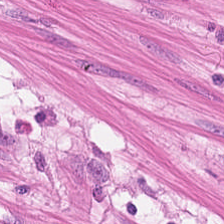Hematoxylin and eosin. Tissue — smooth-muscle tissue.
